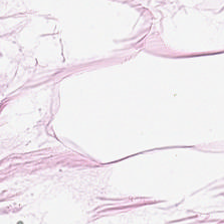H&E · 0.5 µm per pixel · formalin-fixed paraffin-embedded section — Adipocytes.
